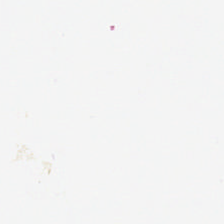Stain: hematoxylin-and-eosin stained section.
Content: no tissue.
